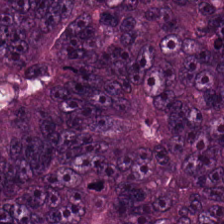This patch shows colorectal adenocarcinoma epithelium.
